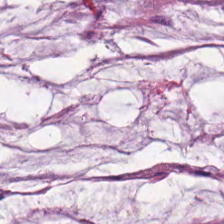Hematoxylin and eosin. 0.5 microns per pixel. FFPE tissue section.
Classification — extracellular mucin.
